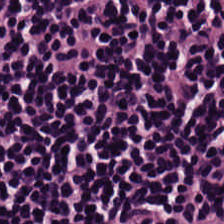WSI patch · H&E-stained tissue section. Predominant tissue — lymphocyte aggregate.
